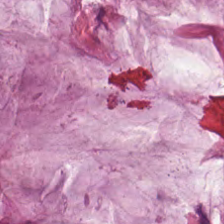H&E.
Mucus.
